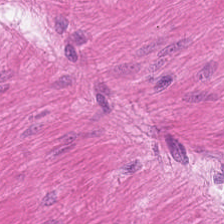FFPE. 224×224 px patch. H&E-stained tissue section. This patch shows muscularis.
